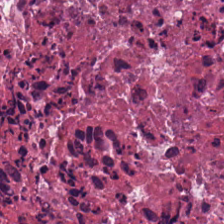H&E stain. Brightfield — Impression — necrotic debris.
